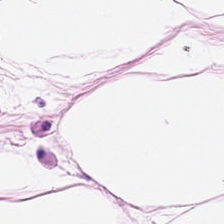FFPE tissue section · hematoxylin-and-eosin stained section.
This patch shows adipose tissue.
